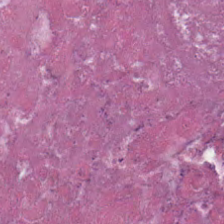H&E stain. Q: What is shown in this field?
A: Necrotic debris.
